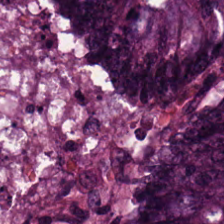{"tissue_type": "colorectal adenocarcinoma"}
